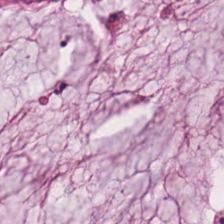Brightfield microscopy; hematoxylin and eosin; 0.5 µm/px — This field is mucus.
